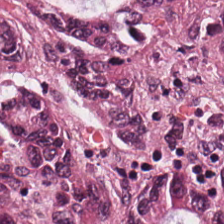H&E. 0.5 microns per pixel. Formalin-fixed paraffin-embedded section.
Impression — adenocarcinoma.
